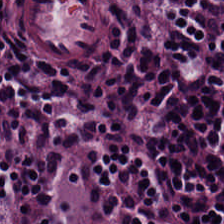Stain: hematoxylin-and-eosin stained section.
Preparation: formalin-fixed paraffin-embedded section.
Tile size: 224×224 pixel tile.
Tissue: lymphocytes.
